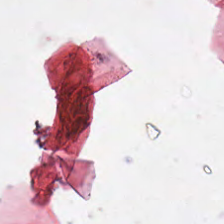H&E stain.
Q: What does this patch show?
A: The field shows background.
